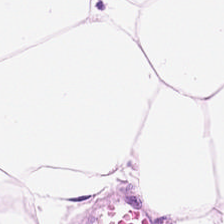H&E stain.
Impression — adipocytes.
